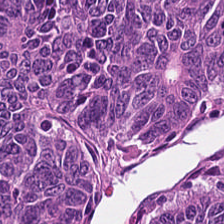Hematoxylin-and-eosin stained section; formalin-fixed paraffin-embedded section; 224×224 px patch — Tissue: colorectal adenocarcinoma epithelium.
